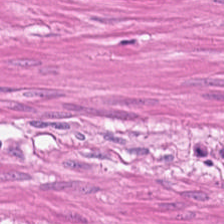Predominantly smooth muscle.
